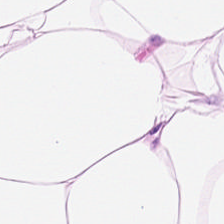Showing adipocytes.
